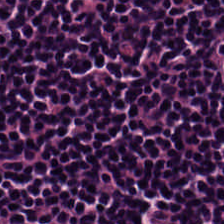H&E-stained tissue section; FFPE tissue section. Q: What tissue is shown?
A: The field shows lymphocytic infiltrate.
